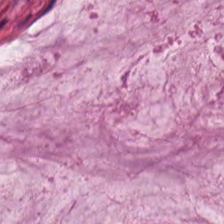Hematoxylin-and-eosin section: mucin.
